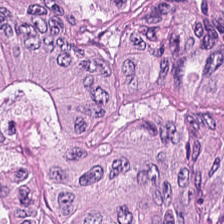Brightfield. Hematoxylin and eosin. 224×224 px patch. The predominant tissue is colorectal adenocarcinoma.
